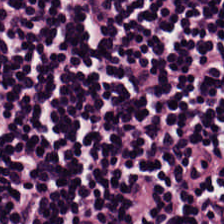H&E-stained tissue section · 0.5 µm/px.
Tissue class = lymphocyte aggregate.
